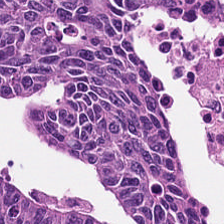H&E; 224×224 pixel tile. Histology → colorectal adenocarcinoma epithelium.
